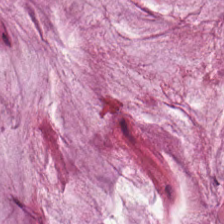Classification = mucin.
